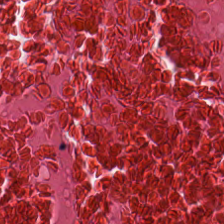WSI patch; H&E stain. This patch shows necrotic debris.
